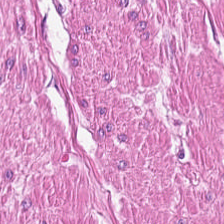Formalin-fixed paraffin-embedded section. H&E-stained tissue section. The predominant tissue is muscularis.
